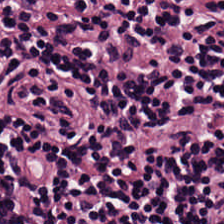Q: What is shown here?
A: The field shows lymphoid infiltrate.
